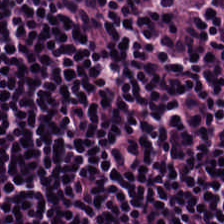H&E. 224×224 pixel tile.
The tissue is lymphoid infiltrate.
